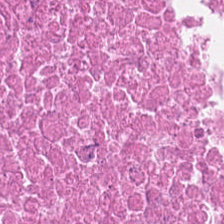Predominant tissue — debris.
